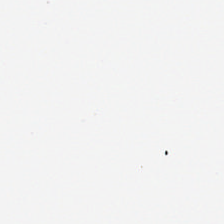0.5 µm per pixel · brightfield microscopy · hematoxylin-and-eosin stained section.
This patch shows no tissue.
